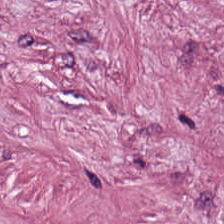H&E; WSI patch; FFPE.
The predominant tissue is desmoplastic stroma.
